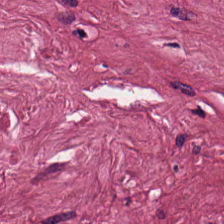Hematoxylin-and-eosin stained section — Showing tumor-associated stroma.
